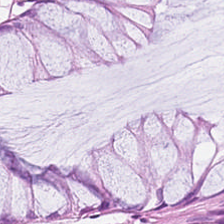20× equivalent magnification · H&E-stained tissue section — Q: What type of tissue is this?
A: This is benign colonic mucosa.
